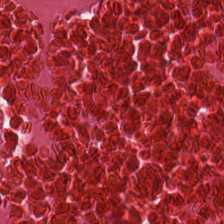Stain: H&E-stained tissue section.
Preparation: FFPE tissue section.
Tissue class: cellular debris.
